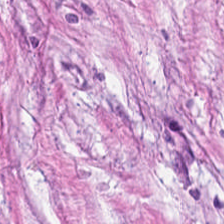Brightfield · H&E — Tissue: desmoplastic stroma.
